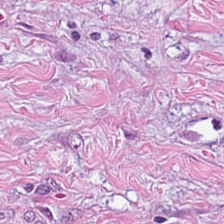224×224 pixel tile; hematoxylin and eosin; 0.5 microns per pixel. Finding — cancer-associated stroma.
